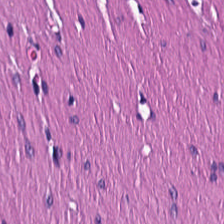H&E stain — Tissue type — smooth-muscle tissue.
